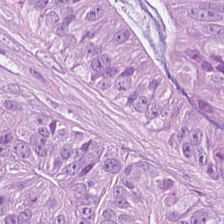Hematoxylin-and-eosin stained section.
The predominant tissue is colorectal adenocarcinoma epithelium.
